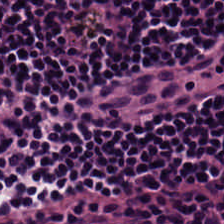0.5 µm per pixel · H&E stain — The tissue is lymphoid infiltrate.
